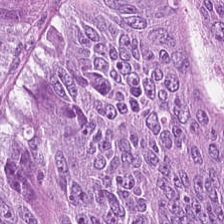Hematoxylin and eosin — Colorectal adenocarcinoma epithelium.
